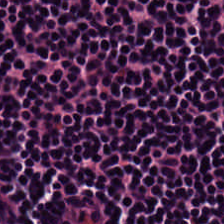Stain: H&E stain.
Classification: lymphocytic infiltrate.
